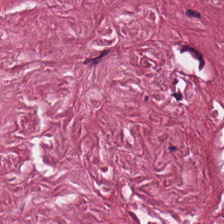H&E stain. Histology → cancer-associated stroma.
